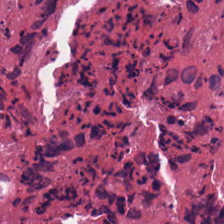H&E-stained tissue section · 20× equivalent magnification — Q: What type of tissue is this?
A: It is necrotic debris.
